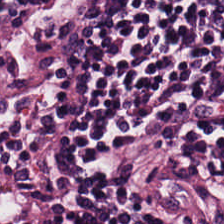Hematoxylin-and-eosin stained section — {"tissue_type": "lymphocytes"}
